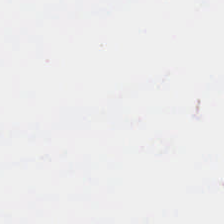20× equivalent magnification. Hematoxylin-and-eosin stained section — Background — no tissue in this field.
